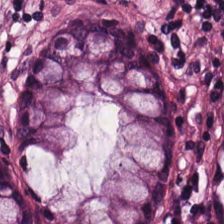Stain: H&E.
Tissue type: normal colon mucosa.
